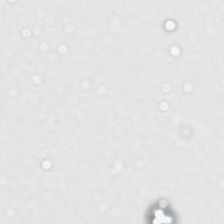Hematoxylin-and-eosin stained section — No tissue.
